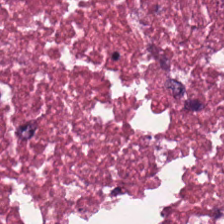Hematoxylin-and-eosin stained section. 0.5 µm per pixel. The classification is cellular debris.
